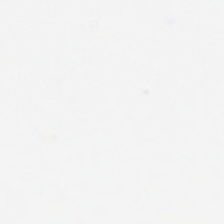WSI patch · hematoxylin and eosin. Histology — background.
